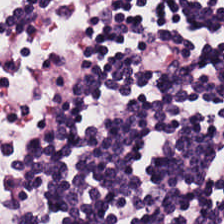Stain: hematoxylin-and-eosin stained section.
Resolution: 20× equivalent magnification.
Acquisition: brightfield.
Tissue type: lymphoid infiltrate.
